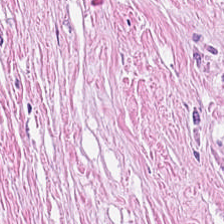Stain: hematoxylin and eosin.
Tissue type: tumor-associated stroma.
